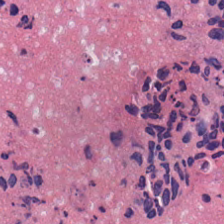Stain: hematoxylin and eosin.
Tissue class: cellular debris.
